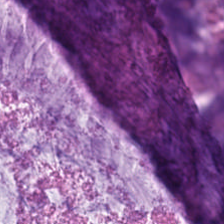20× equivalent magnification. H&E stain.
Q: What is shown here?
A: This is mucin.
